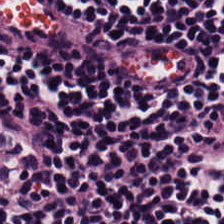H&E — lymphocytic infiltrate.
